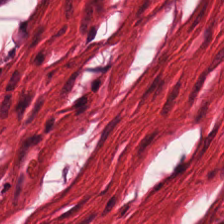The tissue is muscularis.
